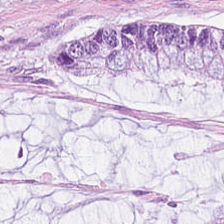Hematoxylin-and-eosin stained section; brightfield.
Showing mucin.
